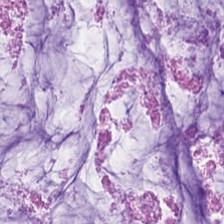Hematoxylin and eosin. Tissue class: extracellular mucin.
